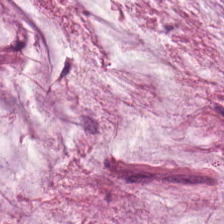Tissue type — mucus.
